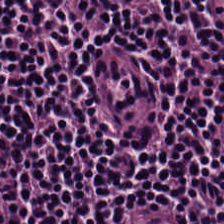20× equivalent magnification; hematoxylin-and-eosin stained section; 224×224 px tile.
Lymphoid infiltrate.
